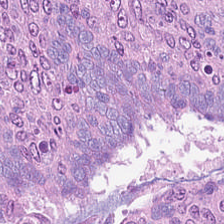{"tissue_type": "tumor epithelium"}
